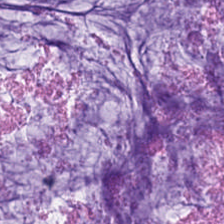Hematoxylin-and-eosin section: mucus.
